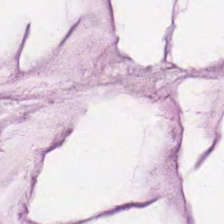Hematoxylin and eosin. Q: What tissue is shown?
A: Mucus.
